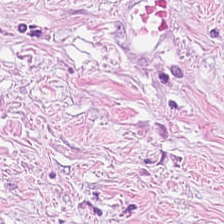Histology → cancer-associated stroma.
